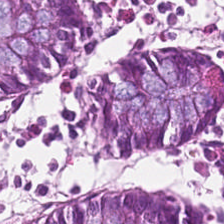H&E-stained tissue section. FFPE.
Predominant tissue = benign colonic mucosa.
